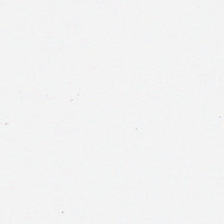H&E stain. Field content: background (no tissue).
